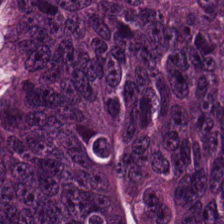H&E stain — Tissue: tumor epithelium.
